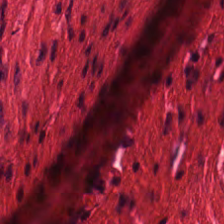H&E stain. Q: Identify the tissue.
A: This is muscularis.
